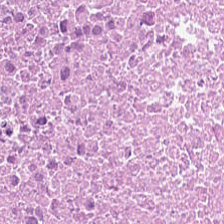H&E stain.
This field is cellular debris.
